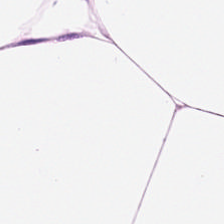Hematoxylin-and-eosin stained section; 224×224 px patch.
This patch shows fat tissue.
